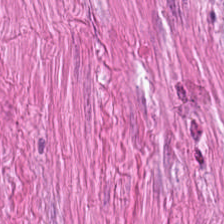H&E stain — Showing smooth-muscle tissue.
